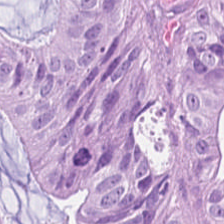H&E stain — The tissue is adenocarcinoma.
